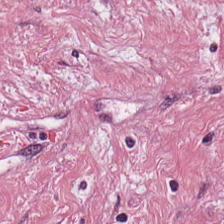H&E — Q: What is shown here?
A: It is desmoplastic stroma.
